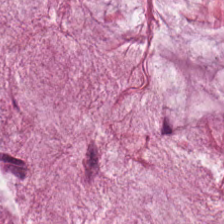Hematoxylin-and-eosin stained section — Classification: mucus.
